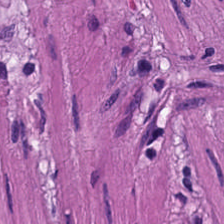H&E-stained tissue section. Showing muscularis.
